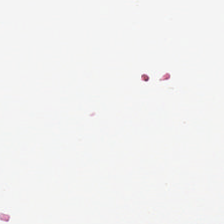Q: Classify this patch.
A: The field shows background (no tissue).
